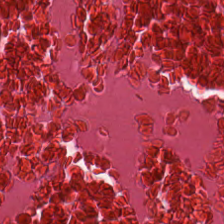Impression — debris.
